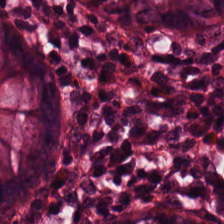Stain: H&E-stained tissue section.
Tissue class: normal colon mucosa.
